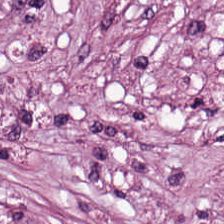Stain: H&E.
Tissue type: tumor stroma.
